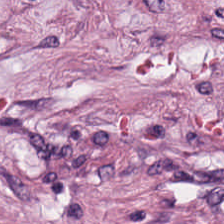H&E stain. 20× equivalent magnification. Brightfield microscopy.
Tissue class: desmoplastic stroma.
